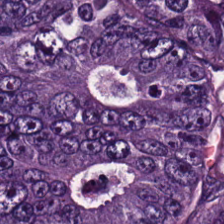H&E-stained tissue section — Classification = malignant epithelium.
